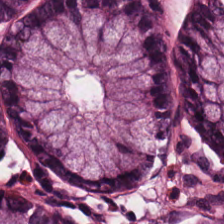H&E stain · formalin-fixed paraffin-embedded section · 0.5 µm per pixel — Showing benign colonic mucosa.
